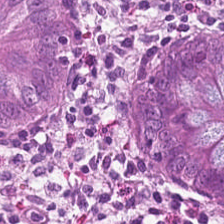H&E-stained tissue section.
Q: What does this patch show?
A: This is benign colonic mucosa.
